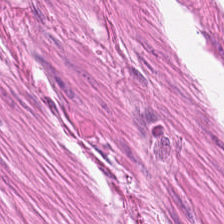H&E stain; 224×224 px patch — Showing smooth muscle.
